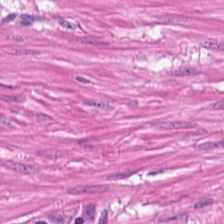FFPE tissue section · H&E stain. This field is muscularis.
